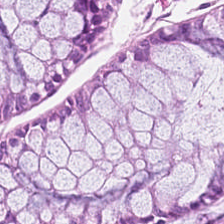Tissue class: benign colonic mucosa.
